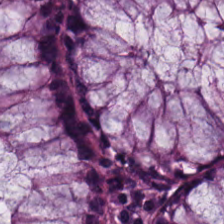0.5 microns per pixel; hematoxylin-and-eosin stained section; brightfield — Predominantly normal colon mucosa.
